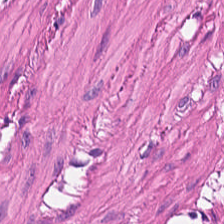H&E stain. Tissue — muscularis.
